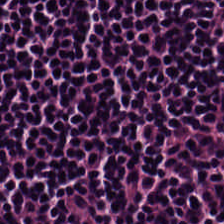H&E patch showing lymphoid infiltrate.
